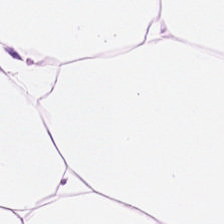0.5 µm/px. Hematoxylin and eosin. 224×224 px patch. Tissue class = adipose tissue.
